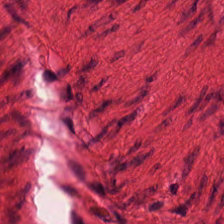Brightfield microscopy · H&E. Q: What does this patch show?
A: The field shows smooth-muscle tissue.
